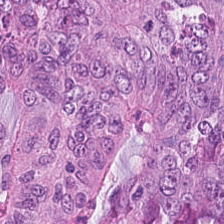Hematoxylin and eosin. Finding → malignant epithelium.
